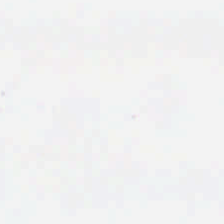Hematoxylin-and-eosin stained section — Impression → background.
